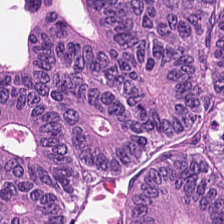H&E-stained tissue section; 224×224 px patch.
Impression → tumor epithelium.
